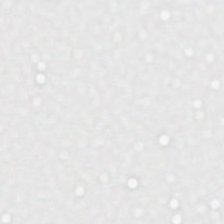Hematoxylin-and-eosin stained section.
Background (no tissue).
